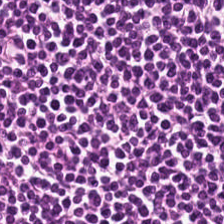Q: What is shown in this field?
A: Lymphocyte aggregate.
